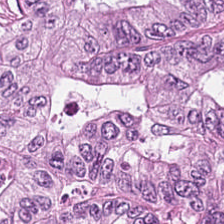224×224 px patch · hematoxylin and eosin · FFPE — Predominant tissue: colorectal adenocarcinoma epithelium.
